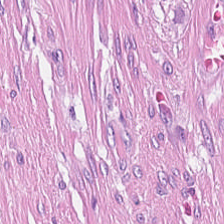H&E-stained tissue section.
Tissue class: tumor-associated stroma.
